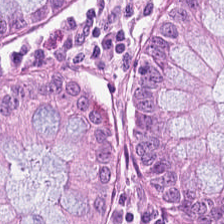H&E stain — The predominant tissue is benign colonic mucosa.
